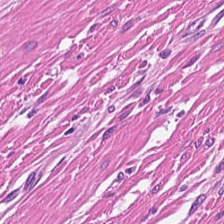FFPE. 0.5 µm per pixel. H&E.
This field is muscularis.
